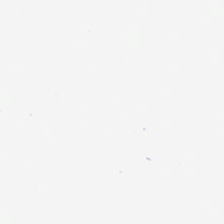Stain: hematoxylin and eosin.
Classification: no tissue.
